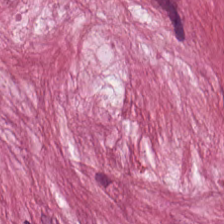H&E patch showing cancer-associated stroma.
